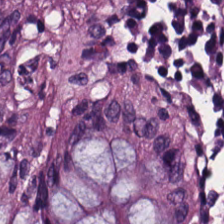224×224 px patch · hematoxylin and eosin. Showing non-neoplastic colon mucosa.
